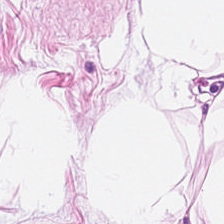H&E. Brightfield microscopy. 0.5 microns per pixel. The tissue type is adipose.
